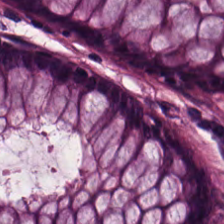H&E stain — This field is normal colonic mucosa.
